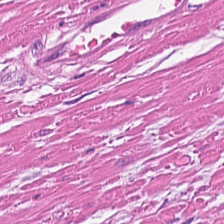Q: What tissue is shown?
A: This is smooth-muscle tissue.
